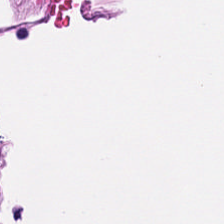Hematoxylin and eosin.
Showing smooth-muscle tissue.
